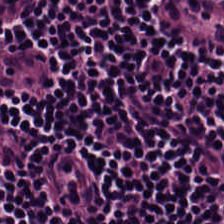The predominant tissue is lymphoid infiltrate.
